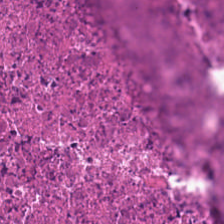H&E.
The tissue class is debris.
